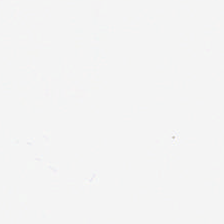Empty field — empty background.
